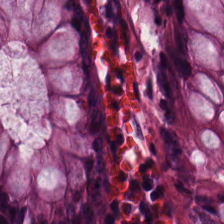Hematoxylin and eosin.
Tissue type: non-neoplastic colon mucosa.
